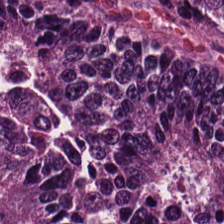H&E-stained tissue section — Classification: colorectal adenocarcinoma.
